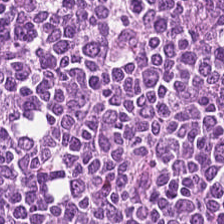H&E. Q: What is shown here?
A: The field shows lymphocyte aggregate.
